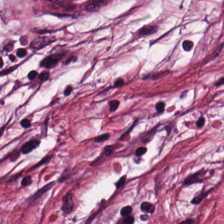H&E stain; 224×224 px patch — Showing tumor stroma.
